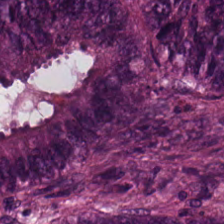Hematoxylin-and-eosin stained section.
Tissue: colorectal adenocarcinoma epithelium.
